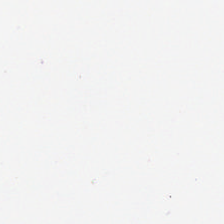20× equivalent magnification; hematoxylin-and-eosin stained section. Background.
